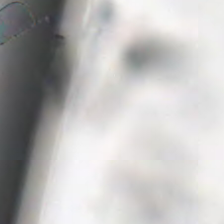Brightfield · 0.5 microns per pixel · H&E. Q: What does this patch show?
A: This is no tissue.
